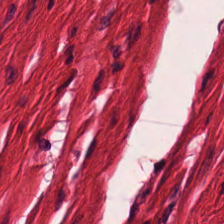The tissue is smooth muscle.
